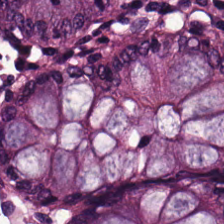Hematoxylin and eosin. Predominantly normal colon mucosa.
